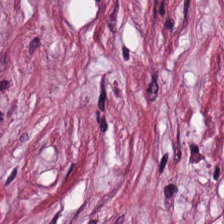H&E-stained tissue section.
The tissue here is cancer-associated stroma.
